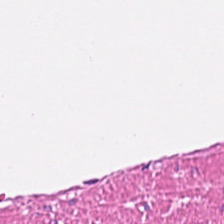H&E stain · FFPE. {"tissue_type": "muscularis"}
